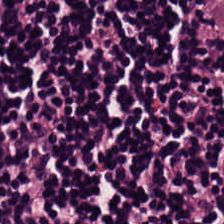H&E stain — Q: Classify this patch.
A: It is lymphocytes.
